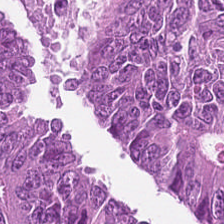Hematoxylin and eosin.
Finding → colorectal adenocarcinoma epithelium.
